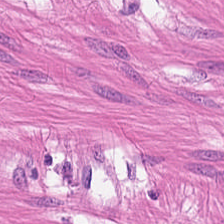224×224 px patch. H&E.
Tissue = smooth muscle.
